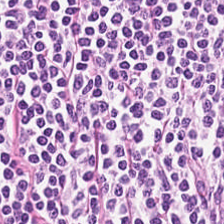Hematoxylin and eosin — Predominant tissue — lymphocytic infiltrate.
